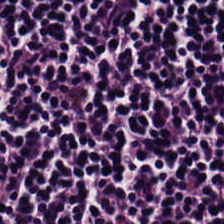Stain: hematoxylin-and-eosin stained section.
Tissue type: lymphocytes.
